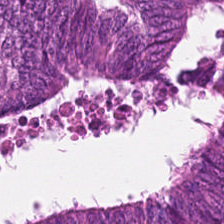Brightfield microscopy; H&E stain.
Q: Identify the tissue.
A: This is colorectal adenocarcinoma.
